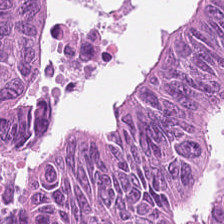H&E. Showing adenocarcinoma.
